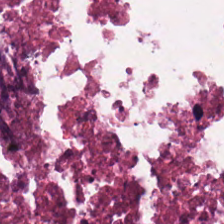H&E stain. Formalin-fixed paraffin-embedded section. The tissue here is necrotic debris.
